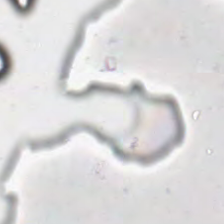Background.
